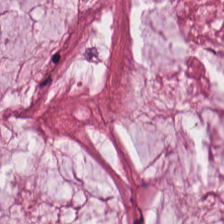H&E stain.
The tissue here is extracellular mucin.
